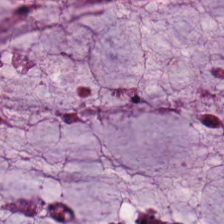Stain: hematoxylin-and-eosin stained section.
Tissue class: extracellular mucin.
